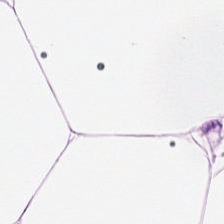Hematoxylin and eosin; WSI patch; 20× equivalent magnification. Showing fat tissue.
